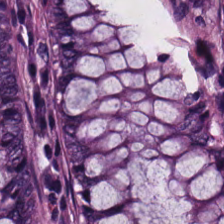Tissue type — normal colonic mucosa.
